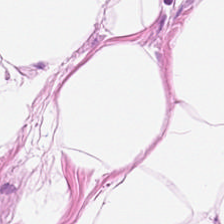FFPE tissue section · H&E-stained tissue section — Showing adipose.
